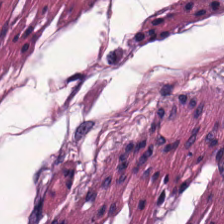The tissue here is muscularis.
